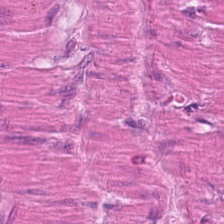H&E patch showing muscularis.
